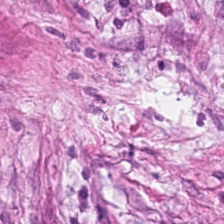Classification: desmoplastic stroma.
